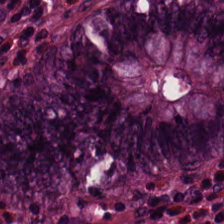Hematoxylin and eosin.
Tissue type = benign colonic mucosa.
